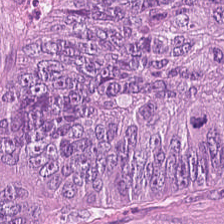Formalin-fixed paraffin-embedded section; hematoxylin-and-eosin stained section; 224×224 pixel tile — Malignant epithelium.
